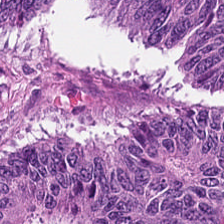20× equivalent magnification; hematoxylin-and-eosin stained section; FFPE — Histology → colorectal adenocarcinoma.
